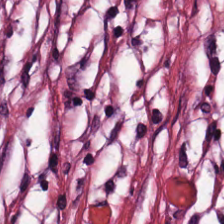H&E. Histology → desmoplastic stroma.
